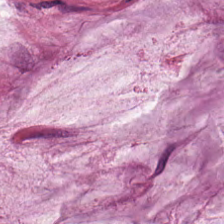Brightfield; H&E stain.
Showing extracellular mucin.
